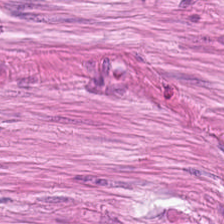H&E stain.
Q: What type of tissue is this?
A: The field shows smooth muscle.
